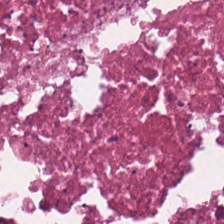Hematoxylin-and-eosin stained section · 224×224 px tile — {"tissue_type": "debris"}
